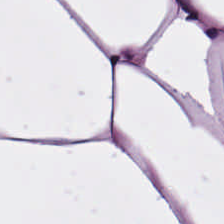Stain: hematoxylin-and-eosin stained section.
Tissue class: adipose tissue.
